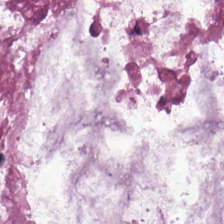Formalin-fixed paraffin-embedded section; hematoxylin-and-eosin stained section.
Impression — mucin.
